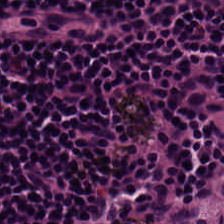FFPE tissue section · H&E.
The tissue type is lymphoid infiltrate.
